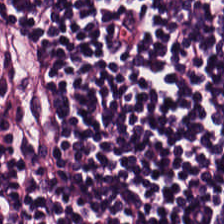H&E. 20× equivalent magnification.
Histology — lymphocytic infiltrate.
